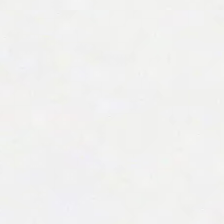This field is background (no tissue).
